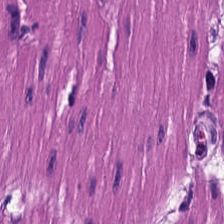Tissue class = smooth-muscle tissue.
